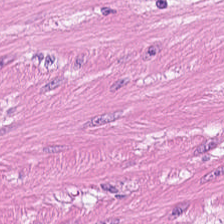Stain: H&E stain.
Tissue type: smooth-muscle tissue.
